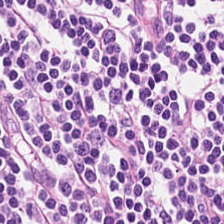H&E stain — Tissue type: lymphocytes.
